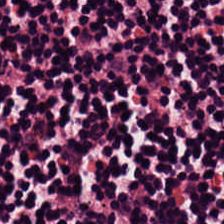H&E stain — Histology → lymphocytic infiltrate.
